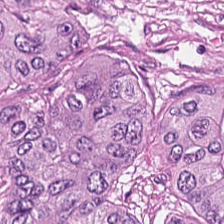H&E stain; 224×224 pixel tile. Tissue: colorectal adenocarcinoma.
